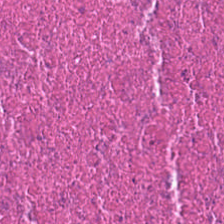Tissue class — cellular debris.
